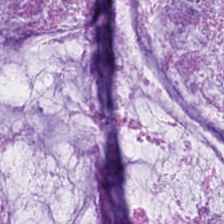H&E — Impression → mucus.
